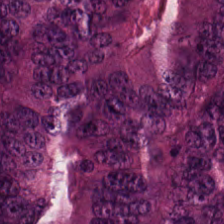Hematoxylin and eosin. Tissue type — colorectal adenocarcinoma epithelium.
